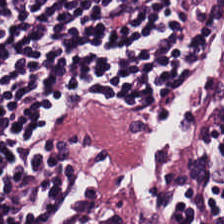Stain: hematoxylin-and-eosin stained section.
Preparation: FFPE tissue section.
Resolution: 20× equivalent magnification.
Predominant tissue: lymphocytic infiltrate.
